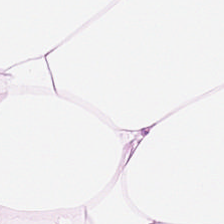Hematoxylin and eosin. Predominant tissue: adipose.
